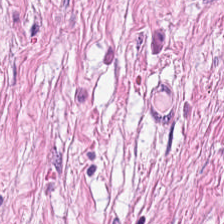0.5 microns per pixel; hematoxylin and eosin; formalin-fixed paraffin-embedded section — Classification — cancer-associated stroma.
